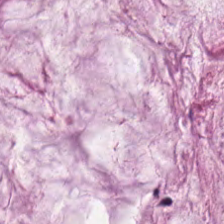Hematoxylin-and-eosin stained section — {"tissue_type": "extracellular mucin"}
